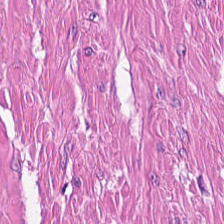0.5 microns per pixel; FFPE; hematoxylin and eosin — Histology → muscularis.
